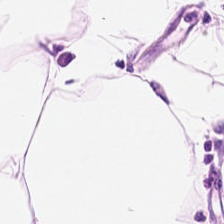224×224 px patch; hematoxylin and eosin. Q: What is shown here?
A: The field shows adipose.
